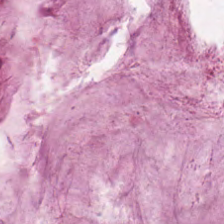Hematoxylin-and-eosin stained section.
The tissue is extracellular mucin.
